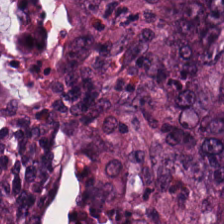Whole-slide-image patch. H&E stain. Q: Identify the tissue.
A: It is malignant epithelium.
